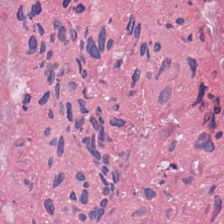Hematoxylin and eosin.
Predominant tissue: debris.
